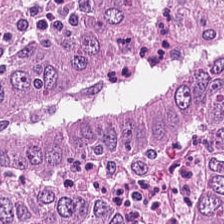Impression → colorectal adenocarcinoma.
